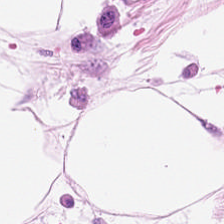H&E. 224×224 pixel tile. FFPE tissue section.
Impression — adipose.
